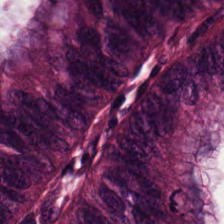224×224 pixel tile. FFPE tissue section. Hematoxylin-and-eosin stained section. Impression — colorectal adenocarcinoma.
